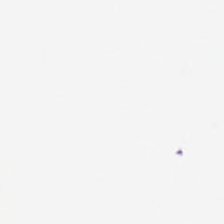Stain: H&E.
Classification: no tissue.
